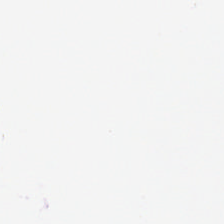0.5 µm per pixel · H&E stain — Impression → background.
